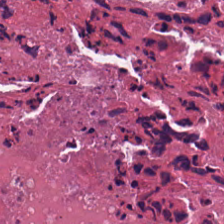H&E — Tissue = cellular debris.
